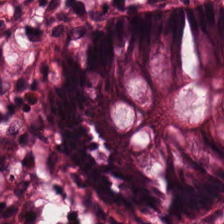H&E stain. FFPE tissue section — The tissue type is non-neoplastic colon mucosa.
